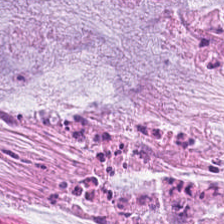Hematoxylin and eosin — Predominantly mucus.
